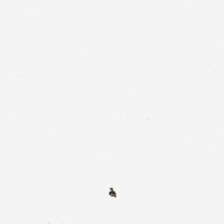Hematoxylin-and-eosin stained section. This patch shows background (no tissue).
